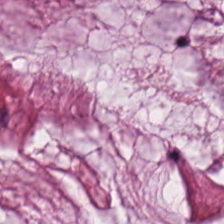Hematoxylin and eosin. Q: What tissue type is shown here?
A: It is mucin.
